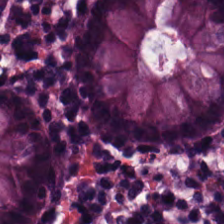H&E stain. This patch shows non-neoplastic colon mucosa.
